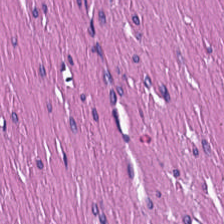H&E — Tissue = muscularis.
